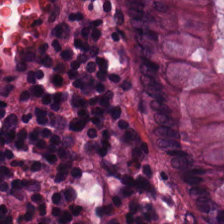Hematoxylin and eosin. FFPE. 0.5 microns per pixel — This field is normal colon mucosa.
